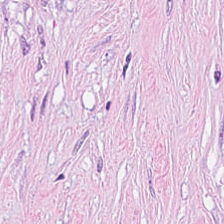H&E. Tumor-associated stroma.
